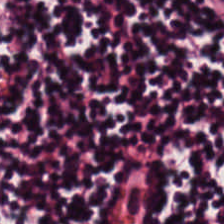Hematoxylin and eosin. Q: What is shown here?
A: This is lymphocyte aggregate.
